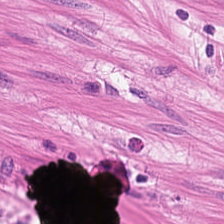Q: What is the predominant tissue type?
A: This is muscularis.
